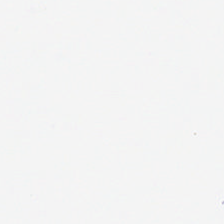H&E stain. Histology → no tissue.
